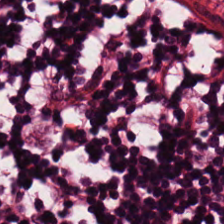H&E. WSI patch. 20× equivalent magnification. Lymphocytic infiltrate.
